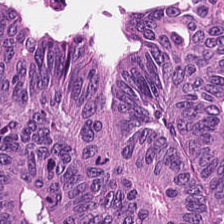Stain: H&E stain.
Classification: colorectal adenocarcinoma.
